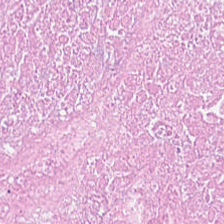Stain: H&E stain.
Tissue class: necrotic debris.
